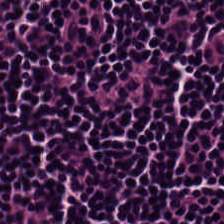Hematoxylin-and-eosin stained section; 224×224 pixel tile. Q: What tissue type is shown here?
A: The field shows lymphocyte aggregate.
